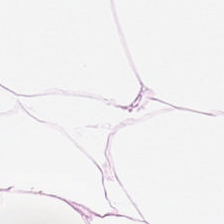FFPE; 0.5 µm per pixel; hematoxylin and eosin.
Q: What tissue is shown?
A: The field shows fat tissue.
